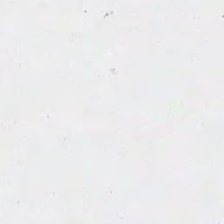0.5 µm per pixel. H&E stain. Brightfield.
Background — no tissue in this field.
